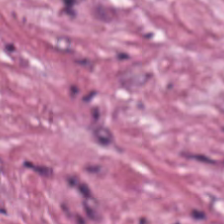Q: What is shown here?
A: It is tumor-associated stroma.
